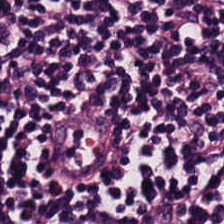This patch shows lymphocytes.
